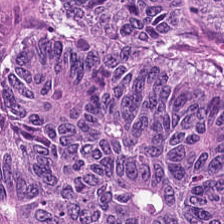Stain: H&E-stained tissue section.
Tile size: 224×224 px tile.
Predominant tissue: colorectal adenocarcinoma epithelium.
